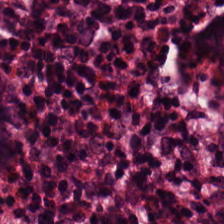Impression — non-neoplastic colon mucosa.
